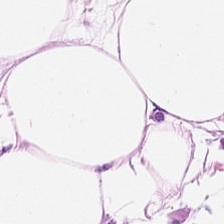H&E-stained tissue section.
This patch shows adipocytes.
